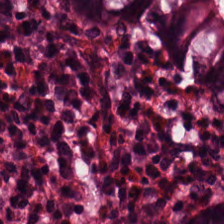224×224 px patch; hematoxylin-and-eosin stained section. Q: What does this patch show?
A: Benign colonic mucosa.
